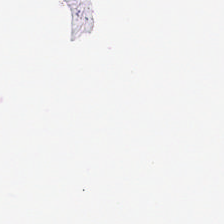Empty background.
